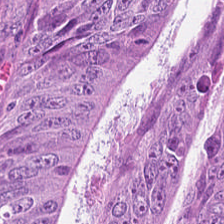Stain: hematoxylin-and-eosin stained section.
Predominant tissue: malignant epithelium.
